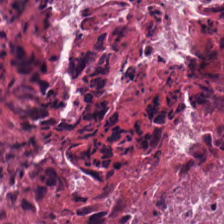0.5 microns per pixel · hematoxylin-and-eosin stained section — Q: What type of tissue is this?
A: The field shows necrotic debris.
